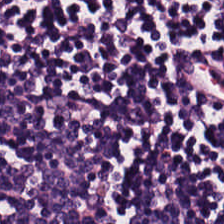H&E — Q: Identify the tissue.
A: It is lymphocytic infiltrate.
